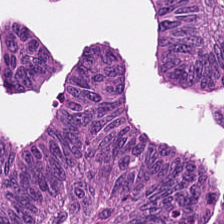Hematoxylin and eosin. This patch shows tumor epithelium.
